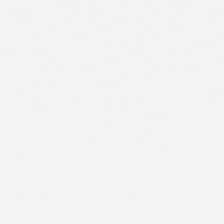FFPE; H&E stain.
Background — no tissue in this field.
